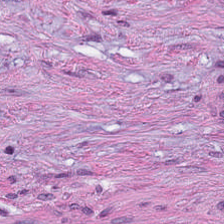H&E-stained tissue section; FFPE tissue section. The predominant tissue is tumor stroma.
